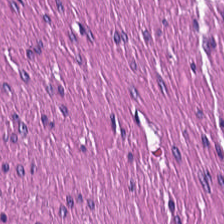H&E stain. Formalin-fixed paraffin-embedded section.
Tissue: muscularis.
